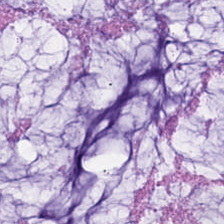Stain: hematoxylin-and-eosin stained section.
Tissue class: mucus.
